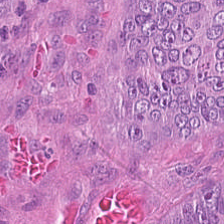H&E; WSI patch.
This field is colorectal adenocarcinoma epithelium.
